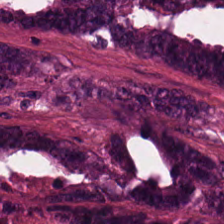Histology → tumor epithelium.
